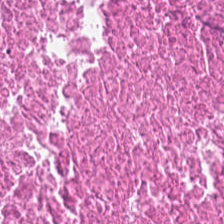0.5 µm per pixel · H&E stain. This patch shows debris.
